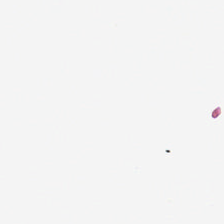H&E.
Content: no tissue.
